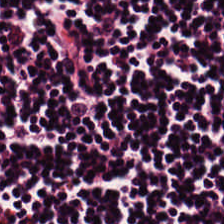Hematoxylin-and-eosin stained section. Finding → lymphocytes.
